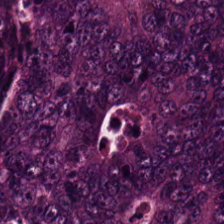H&E-stained tissue section — Q: Identify the tissue.
A: The field shows adenocarcinoma.
